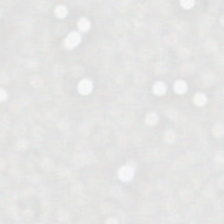H&E.
{"content": "background (no tissue)"}
